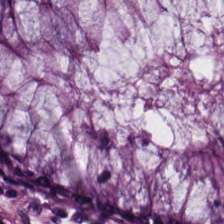Hematoxylin and eosin — The predominant tissue is benign colonic mucosa.
